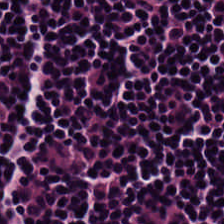{"tissue_type": "lymphocytes"}
